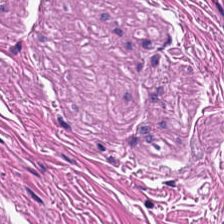Hematoxylin-and-eosin stained section — The tissue here is muscularis.
